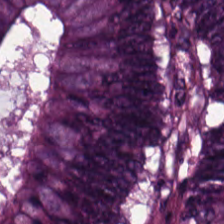FFPE · 0.5 microns per pixel · H&E stain — Impression — malignant epithelium.
